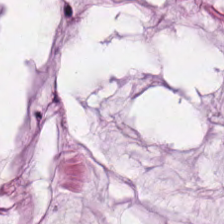H&E stain — The predominant tissue is extracellular mucin.
